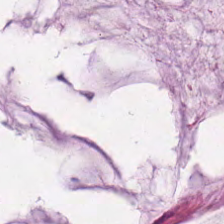Hematoxylin-and-eosin stained section — The tissue here is mucin.
